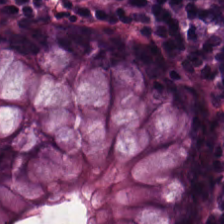Hematoxylin and eosin — Showing non-neoplastic colon mucosa.
